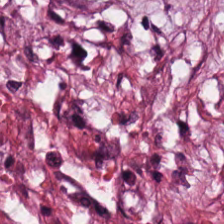H&E stain.
Predominantly desmoplastic stroma.
